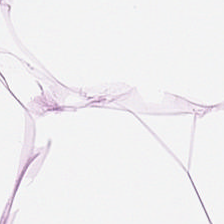H&E. Showing fat tissue.
